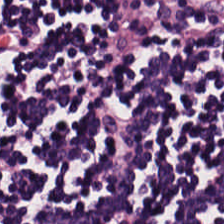Stain: hematoxylin and eosin.
Preparation: FFPE tissue section.
Resolution: 0.5 µm/px.
Predominant tissue: lymphoid infiltrate.
